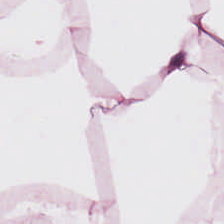Stain: H&E-stained tissue section.
Predominant tissue: fat tissue.
